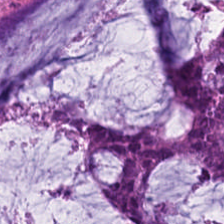H&E-stained section; the field shows mucus.
